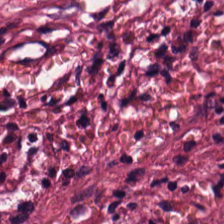224×224 px tile; H&E stain — Finding → tumor stroma.
